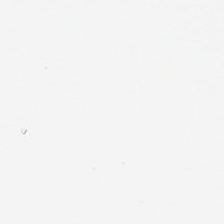Stain: hematoxylin and eosin.
Resolution: 0.5 microns per pixel.
Content: background (no tissue).
